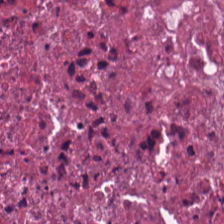0.5 µm/px · hematoxylin-and-eosin stained section — The tissue type is cellular debris.
